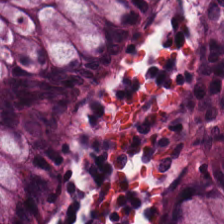H&E-stained tissue section.
Tissue type = non-neoplastic colon mucosa.
